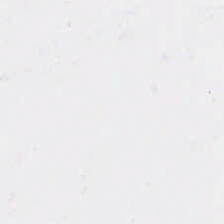Brightfield microscopy. 224×224 pixel tile. H&E-stained tissue section. This patch shows background (no tissue).
